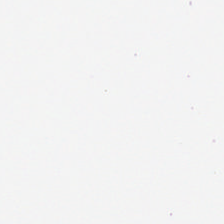224×224 pixel tile. H&E-stained tissue section — Histology → background.
